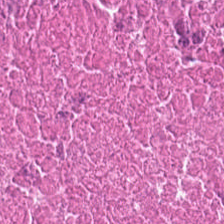Stain: H&E.
Predominant tissue: cellular debris.
